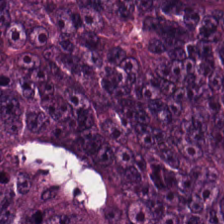Hematoxylin and eosin — {"tissue_type": "colorectal adenocarcinoma epithelium"}
